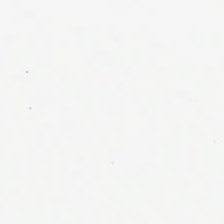0.5 microns per pixel · hematoxylin-and-eosin stained section.
Q: What does this patch show?
A: This is no tissue.
